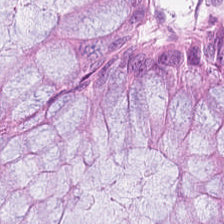Showing non-neoplastic colon mucosa.
